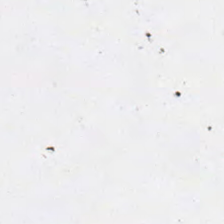FFPE tissue section; hematoxylin-and-eosin stained section; 0.5 µm per pixel. Content: empty background.
